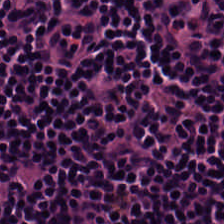Classification: lymphocytic infiltrate.
